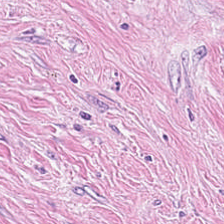H&E. Predominant tissue = cancer-associated stroma.
